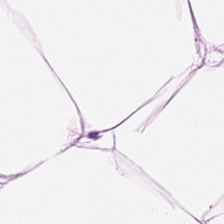Hematoxylin and eosin · FFPE tissue section — Q: What does this patch show?
A: This is adipose.
